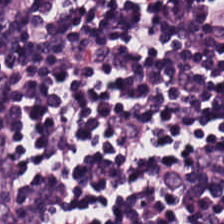FFPE tissue section · H&E-stained tissue section.
The tissue class is lymphoid infiltrate.
